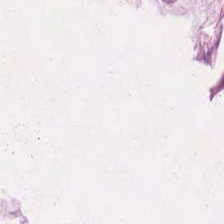Stain: hematoxylin-and-eosin stained section.
Tile size: 224×224 px patch.
Acquisition: WSI patch.
Tissue type: mucus.
